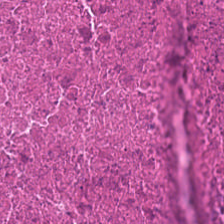Hematoxylin-and-eosin stained section; 20× equivalent magnification — Q: What type of tissue is this?
A: The field shows necrotic debris.
